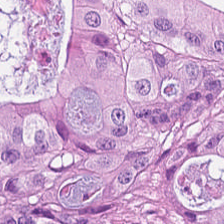Hematoxylin and eosin. Predominant tissue — colorectal adenocarcinoma.
